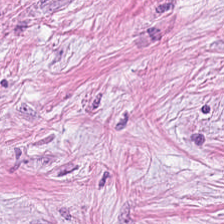Hematoxylin-and-eosin stained section · brightfield · 20× equivalent magnification. Q: Classify this patch.
A: It is tumor stroma.
